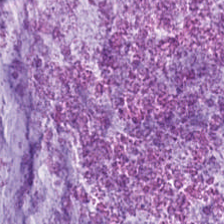Q: What does this patch show?
A: This is extracellular mucin.
